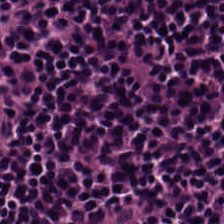{"tissue_type": "lymphoid infiltrate"}
